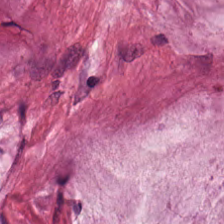H&E · brightfield microscopy.
Histology — extracellular mucin.
